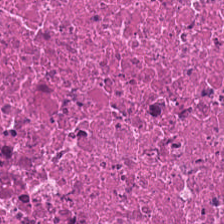H&E stain — Predominantly necrotic debris.
